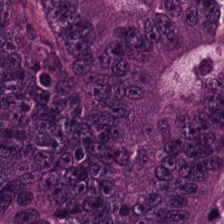H&E-stained tissue section. This patch shows adenocarcinoma.
